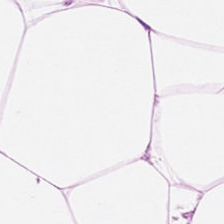Hematoxylin and eosin — Classification = adipose tissue.
